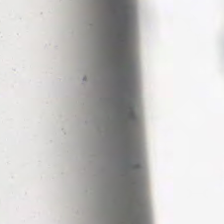Background — no tissue in this field.
